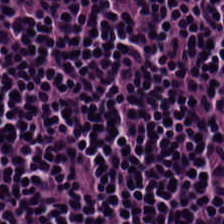H&E — Impression → lymphocytes.
